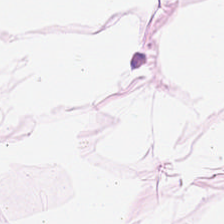FFPE. 224×224 pixel tile. Hematoxylin-and-eosin stained section.
Histology → fat tissue.
